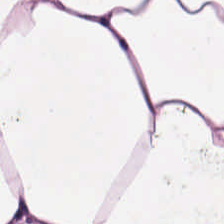224×224 px patch · hematoxylin and eosin — Histology → fat tissue.
